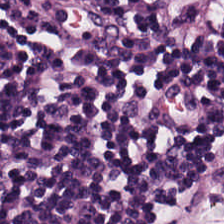Hematoxylin and eosin.
Finding → lymphocytic infiltrate.
